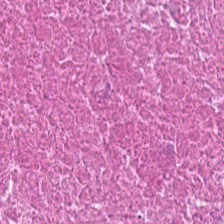H&E — Tissue = cellular debris.
